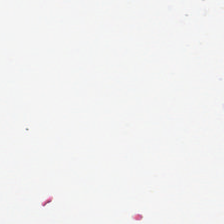Stain: hematoxylin and eosin.
Field content: no tissue.
